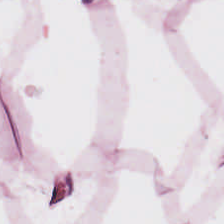H&E. The tissue class is adipocytes.
